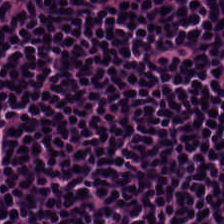H&E-stained tissue section. WSI patch.
This field is lymphoid infiltrate.
